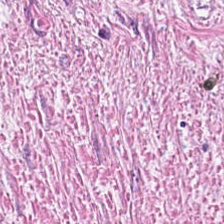Q: What is shown in this field?
A: It is cancer-associated stroma.
